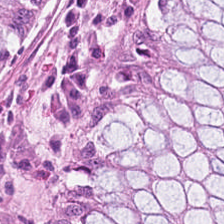H&E stain · 224×224 px patch — {"tissue_type": "non-neoplastic colon mucosa"}
